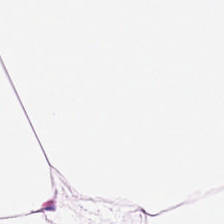20× equivalent magnification. H&E. 224×224 pixel tile.
This field is adipose tissue.
